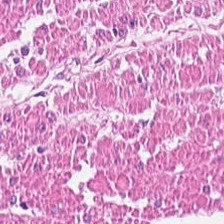H&E stain. Q: What does this patch show?
A: It is smooth-muscle tissue.
